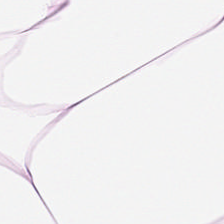The tissue class is adipocytes.
